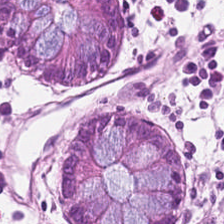H&E stain · 224×224 px tile. Showing non-neoplastic colon mucosa.
